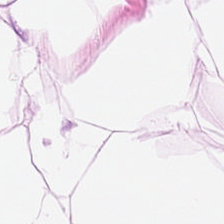Stain: hematoxylin-and-eosin stained section.
Resolution: 0.5 µm/px.
Classification: adipose.
